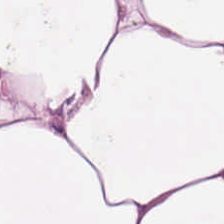H&E-stained tissue section · brightfield microscopy — Tissue — adipose tissue.
